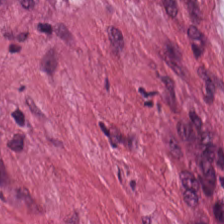H&E. This patch shows tumor-associated stroma.
